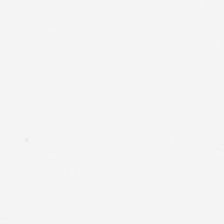Impression — background.
